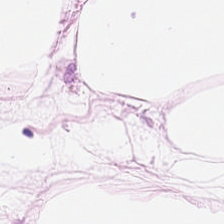Tissue type: adipose tissue.
